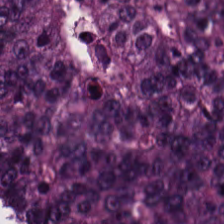H&E stain. 224×224 px patch — Finding → tumor epithelium.
